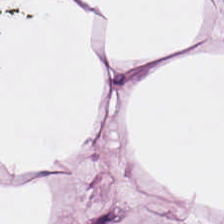{"tissue_type": "adipocytes"}
